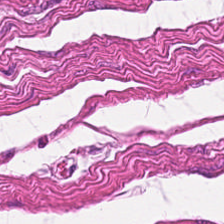Q: What tissue type is shown here?
A: It is smooth-muscle tissue.
